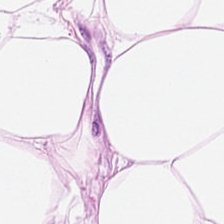Hematoxylin-and-eosin stained section; 224×224 pixel tile.
The tissue type is fat tissue.
